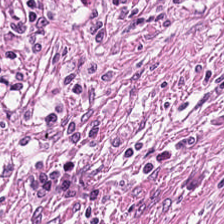H&E-stained tissue section. Predominantly desmoplastic stroma.
